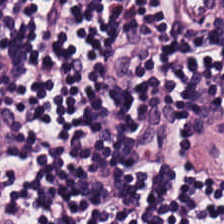224×224 px patch. Hematoxylin-and-eosin stained section. This field is lymphocytes.
